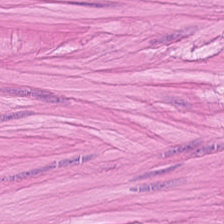Stain: H&E.
Resolution: 0.5 µm/px.
Acquisition: brightfield.
Predominant tissue: smooth muscle.
